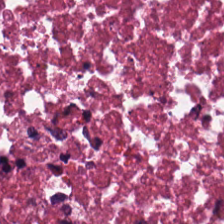H&E stain; 224×224 px patch; WSI patch.
Q: Classify this patch.
A: Necrotic debris.
